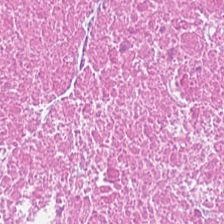FFPE tissue section · H&E-stained tissue section. Predominant tissue — necrotic debris.
